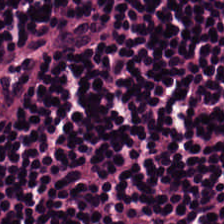0.5 µm/px · H&E stain.
Q: Classify this patch.
A: This is lymphocyte aggregate.
